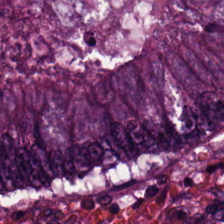H&E stain. Q: Classify this patch.
A: It is colorectal adenocarcinoma.
